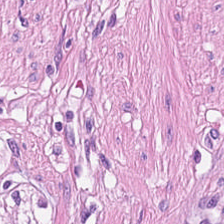Hematoxylin-and-eosin stained section.
This field is muscularis.
